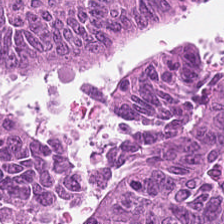Stain: H&E.
Classification: malignant epithelium.
